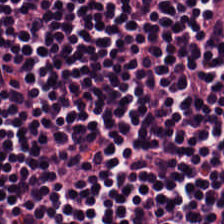Impression → lymphoid infiltrate.
